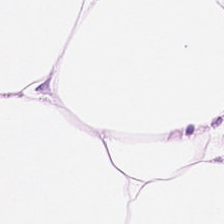Tissue: adipose tissue.
